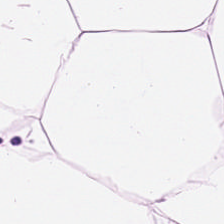FFPE; H&E-stained tissue section; 224×224 pixel tile. Histology — adipose tissue.
